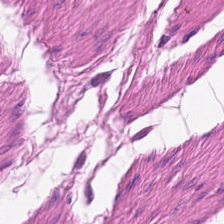Hematoxylin-and-eosin stained section. Q: What type of tissue is this?
A: It is smooth-muscle tissue.
